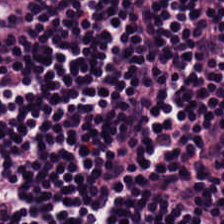Tissue — lymphoid infiltrate.
